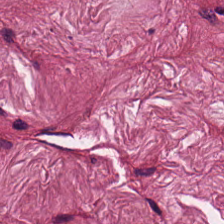224×224 pixel tile. Formalin-fixed paraffin-embedded section. H&E-stained tissue section.
Tissue: cancer-associated stroma.
